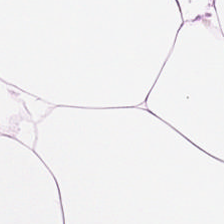224×224 px patch · 0.5 microns per pixel · hematoxylin-and-eosin stained section. Predominantly fat tissue.
